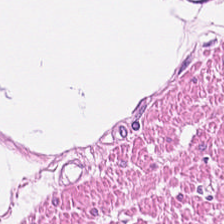Stain: hematoxylin and eosin.
Tissue class: smooth-muscle tissue.
